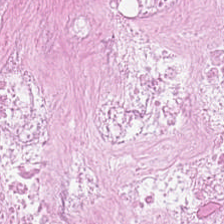Stain: H&E-stained tissue section.
Acquisition: brightfield microscopy.
Resolution: 0.5 microns per pixel.
Classification: debris.
